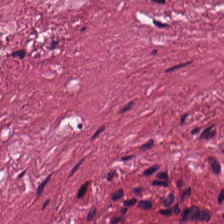H&E-stained tissue section · brightfield · FFPE tissue section.
Finding → tumor-associated stroma.
